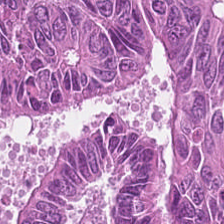H&E · 20× equivalent magnification — Histology → malignant epithelium.
